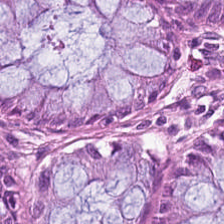0.5 µm per pixel · hematoxylin and eosin. Non-neoplastic colon mucosa.
